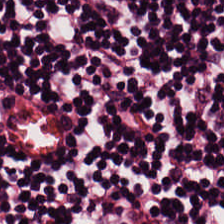224×224 px patch. Hematoxylin and eosin. 20× equivalent magnification. Predominantly lymphocyte aggregate.
